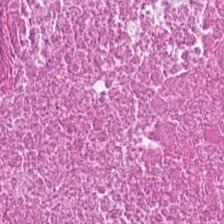H&E-stained tissue section. The predominant tissue is debris.
